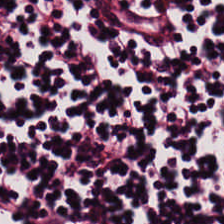Hematoxylin-and-eosin stained section; 224×224 px tile — Classification — lymphocyte aggregate.
